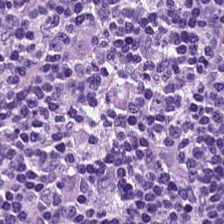H&E stain.
This patch shows lymphocytic infiltrate.
